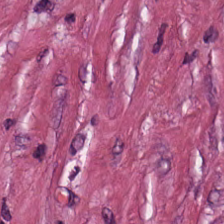H&E. Tumor stroma.
